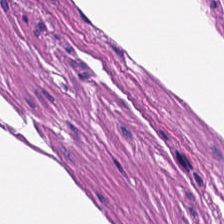Tissue type — smooth-muscle tissue.
